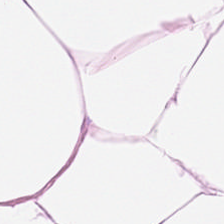H&E — Predominantly adipose.
